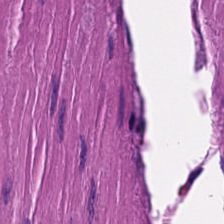FFPE tissue section; H&E stain. Tissue class: smooth muscle.
